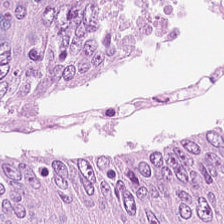H&E-stained tissue section.
Predominant tissue — colorectal adenocarcinoma epithelium.
